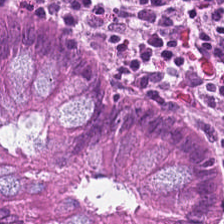{"tissue_type": "normal colonic mucosa"}
